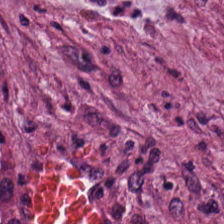H&E-stained tissue section. {"tissue_type": "tumor stroma"}
